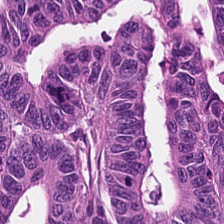224×224 px tile. Hematoxylin-and-eosin stained section — Q: Identify the tissue.
A: It is tumor epithelium.
